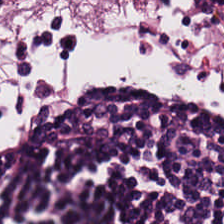H&E stain — Finding — lymphocyte aggregate.
